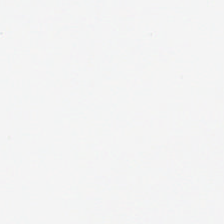H&E.
Empty field — no tissue.
